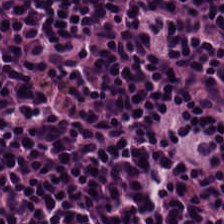Q: What tissue type is shown here?
A: It is lymphocyte aggregate.
